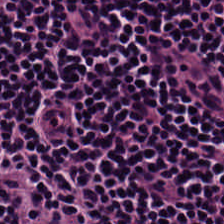Tissue type = lymphocyte aggregate.
